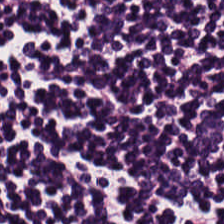Predominantly lymphoid infiltrate.
